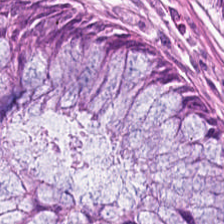Hematoxylin-and-eosin stained section · formalin-fixed paraffin-embedded section.
The tissue here is normal colon mucosa.
